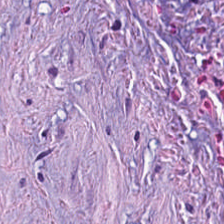Hematoxylin and eosin. FFPE. 0.5 µm/px.
{"tissue_type": "cancer-associated stroma"}
